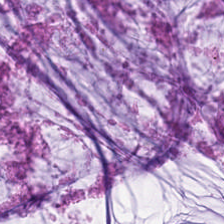FFPE; hematoxylin-and-eosin stained section; brightfield — The predominant tissue is mucin.
